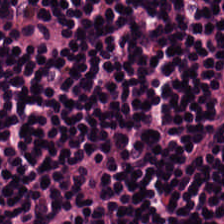Stain: H&E.
Classification: lymphocytes.
